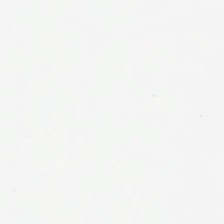Background.
